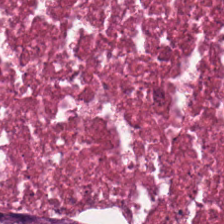H&E-stained section; the field shows cellular debris.
